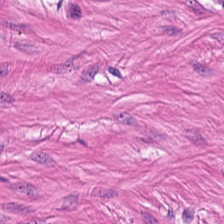Hematoxylin-and-eosin stained section.
Predominant tissue: smooth muscle.
